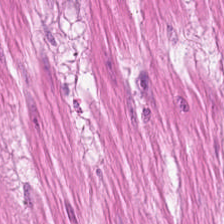H&E; 224×224 px tile.
Tissue — smooth muscle.
